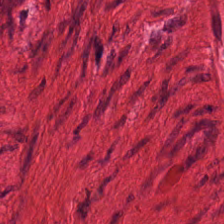H&E-stained tissue section.
Tissue = smooth-muscle tissue.
